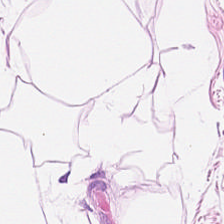Whole-slide-image patch · hematoxylin-and-eosin stained section — This patch shows fat tissue.
